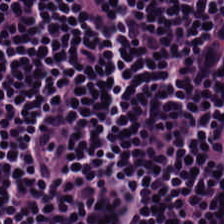Hematoxylin-and-eosin stained section. This patch shows lymphocytes.
